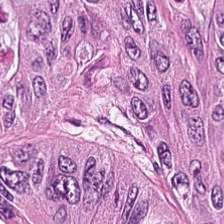H&E — adenocarcinoma.
